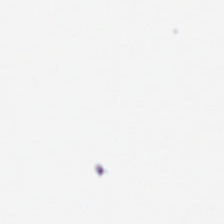FFPE; H&E stain — Empty field — empty background.
